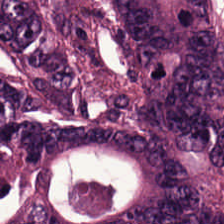Hematoxylin-and-eosin stained section; 0.5 µm/px — Showing colorectal adenocarcinoma epithelium.
